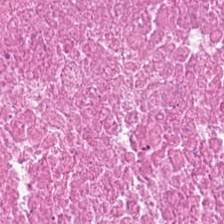H&E. Q: What type of tissue is this?
A: Debris.
